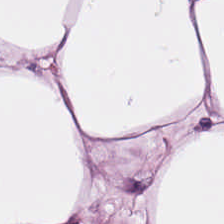WSI patch. H&E stain. Formalin-fixed paraffin-embedded section.
Predominantly fat tissue.
